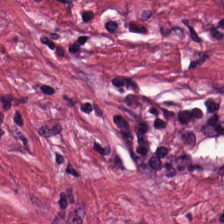FFPE; hematoxylin-and-eosin stained section.
The predominant tissue is tumor stroma.
